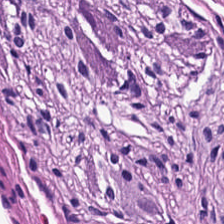H&E stain. Smooth-muscle tissue.
